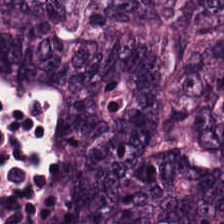Hematoxylin and eosin.
The tissue here is adenocarcinoma.
